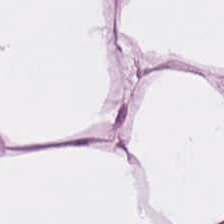H&E-stained tissue section.
Predominantly adipose tissue.
